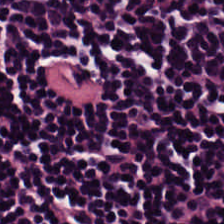{"tissue_type": "lymphocyte aggregate"}
